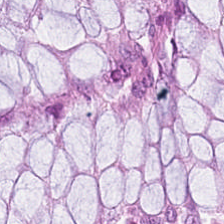H&E-stained tissue section showing non-neoplastic colon mucosa.
